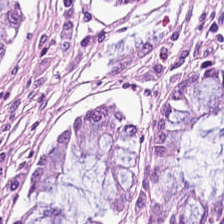H&E stain. FFPE. 224×224 pixel tile — This field is normal colonic mucosa.
